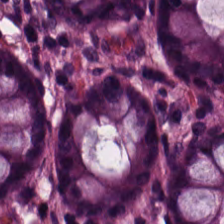H&E · 224×224 px patch · 0.5 microns per pixel — The tissue is normal colon mucosa.
